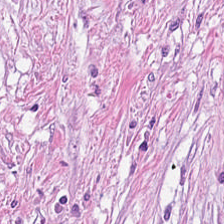Hematoxylin and eosin.
Q: What type of tissue is this?
A: Tumor stroma.
